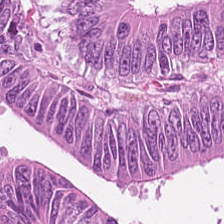H&E-stained tissue section. The predominant tissue is colorectal adenocarcinoma epithelium.
